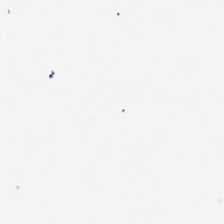H&E-stained tissue section.
Q: What is shown here?
A: It is empty background.
